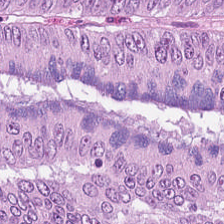Whole-slide-image patch. H&E-stained tissue section — Showing colorectal adenocarcinoma epithelium.
